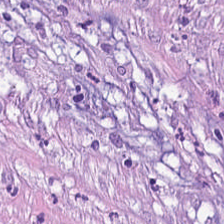Predominantly tumor-associated stroma.
